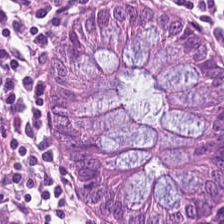Brightfield microscopy; H&E-stained tissue section; FFPE tissue section — Q: Classify this patch.
A: Normal colon mucosa.
